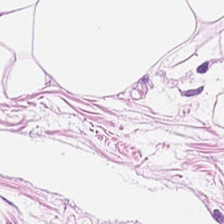Stain: hematoxylin and eosin.
Tissue type: adipose tissue.
